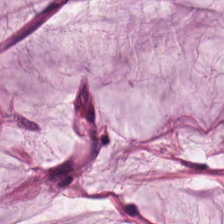224×224 px patch. Hematoxylin and eosin. Brightfield. Classification — mucus.
